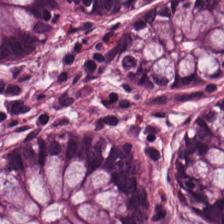H&E patch showing normal colonic mucosa.
